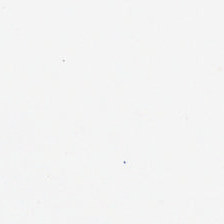H&E-stained tissue section; FFPE — Finding — background (no tissue).
